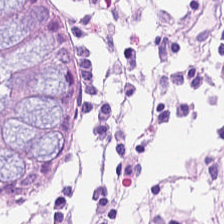Formalin-fixed paraffin-embedded section. 20× equivalent magnification. Hematoxylin and eosin — Finding → normal colonic mucosa.
